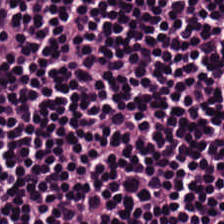20× equivalent magnification · H&E-stained tissue section · brightfield.
Impression → lymphoid infiltrate.
